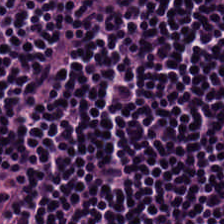Stain: hematoxylin-and-eosin stained section.
Acquisition: brightfield.
Predominant tissue: lymphocytic infiltrate.
